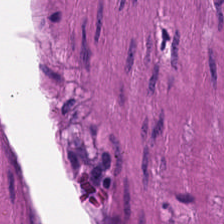Hematoxylin and eosin; WSI patch — Q: What tissue is shown?
A: Smooth muscle.
